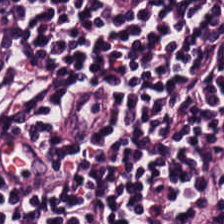Stain: hematoxylin-and-eosin stained section.
Tile size: 224×224 px patch.
Preparation: FFPE.
Predominant tissue: lymphocytes.
